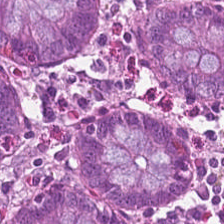H&E-stained tissue section. Histology — normal colon mucosa.
